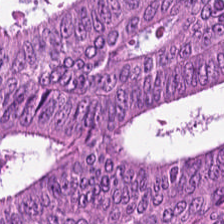The predominant tissue is colorectal adenocarcinoma epithelium.
